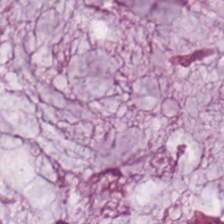H&E; 20× equivalent magnification; 224×224 pixel tile — Q: What tissue type is shown here?
A: It is extracellular mucin.
